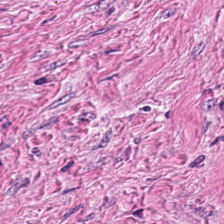H&E. FFPE.
The predominant tissue is cancer-associated stroma.
